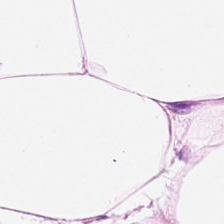H&E stain. Tissue: adipose.
